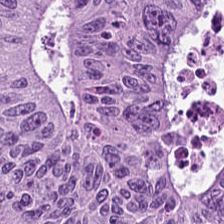Q: What is shown in this field?
A: The field shows tumor epithelium.
